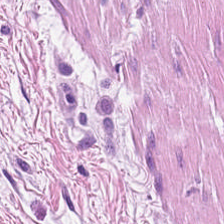Stain: hematoxylin-and-eosin stained section.
Tissue type: smooth muscle.
